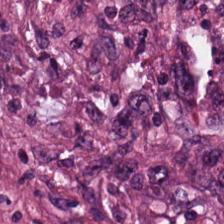H&E — tumor stroma.
